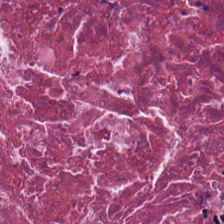H&E-stained tissue section · 0.5 microns per pixel.
Q: Classify this patch.
A: This is debris.
